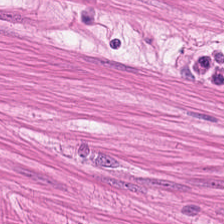Hematoxylin-and-eosin stained section. Q: What tissue type is shown here?
A: It is smooth muscle.
